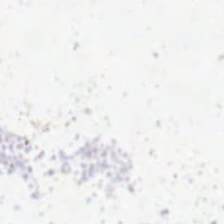Hematoxylin and eosin; 0.5 µm per pixel; FFPE — Q: What does this patch show?
A: It is background (no tissue).
